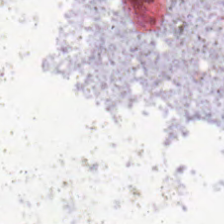0.5 µm per pixel. H&E stain — Background — no tissue in this field.
